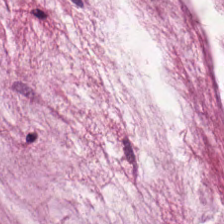Stain: H&E.
Tissue: mucus.
